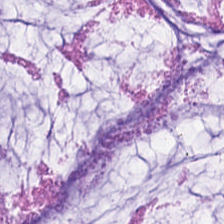Tissue — mucus.
